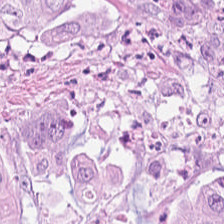Hematoxylin and eosin. Brightfield microscopy.
Q: What tissue type is shown here?
A: It is colorectal adenocarcinoma epithelium.
